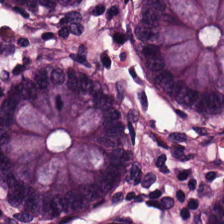Tissue type = normal colonic mucosa.
